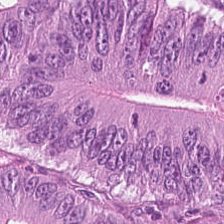Brightfield; hematoxylin and eosin; 224×224 pixel tile.
Q: What is shown in this field?
A: The field shows adenocarcinoma.
